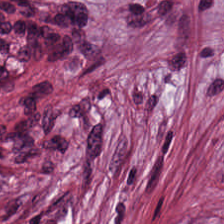Hematoxylin-and-eosin stained section.
{"tissue_type": "tumor stroma"}
